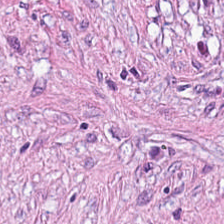H&E.
The tissue here is tumor-associated stroma.
